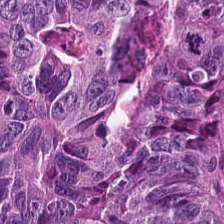H&E stain — Finding — adenocarcinoma.
